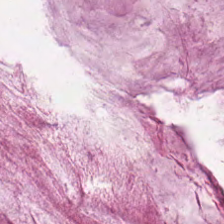0.5 microns per pixel; hematoxylin and eosin — This field is mucus.
